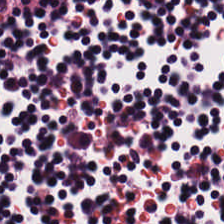Hematoxylin and eosin; 0.5 microns per pixel. Lymphocytic infiltrate.
